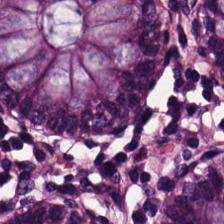Hematoxylin-and-eosin stained section — Histology → normal colonic mucosa.
